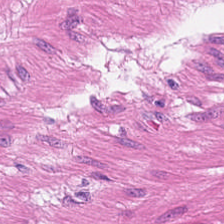Hematoxylin and eosin.
Q: What is shown in this field?
A: The field shows smooth muscle.
